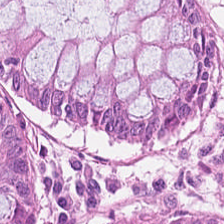Stain: hematoxylin and eosin.
Preparation: FFPE tissue section.
Classification: benign colonic mucosa.
